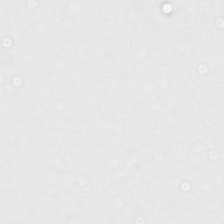0.5 microns per pixel · H&E. Q: Classify this patch.
A: Background.
